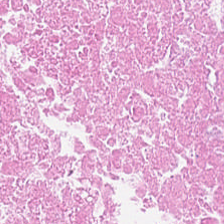H&E — Cellular debris.
